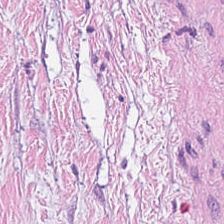H&E stain — The classification is tumor-associated stroma.
